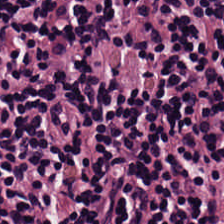H&E — Lymphocytes.
